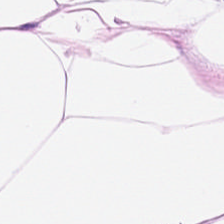Hematoxylin and eosin.
Predominant tissue — adipose tissue.
